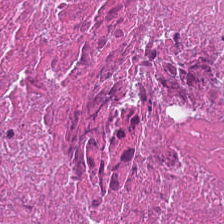Classification: cellular debris.
